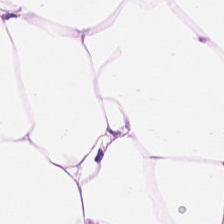Predominantly fat tissue.
